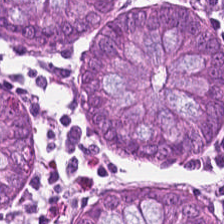224×224 px tile · hematoxylin and eosin · 0.5 µm per pixel.
Predominantly normal colonic mucosa.
